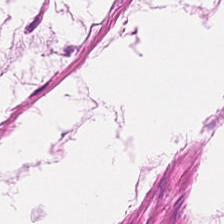H&E-stained tissue section.
Finding — smooth-muscle tissue.
